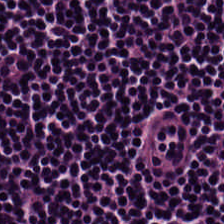Hematoxylin-and-eosin stained section. 224×224 px patch. Formalin-fixed paraffin-embedded section.
Showing lymphocyte aggregate.
